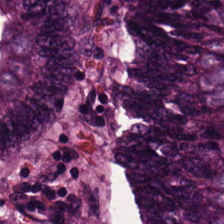Tissue class = malignant epithelium.
